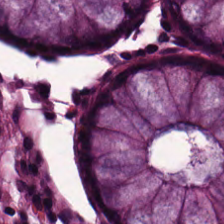Hematoxylin-and-eosin stained section — The predominant tissue is normal colon mucosa.
